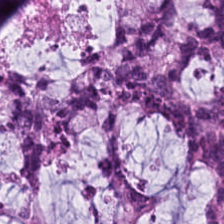Stain: hematoxylin and eosin.
Acquisition: WSI patch.
Preparation: FFPE tissue section.
Predominant tissue: extracellular mucin.
